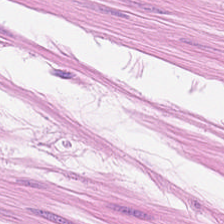H&E-stained tissue section. Q: What tissue type is shown here?
A: This is muscularis.
